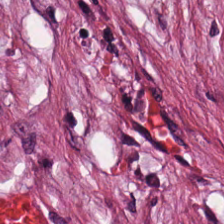Hematoxylin-and-eosin section: desmoplastic stroma.
